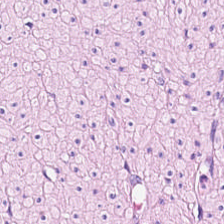H&E — {"tissue_type": "smooth muscle"}
